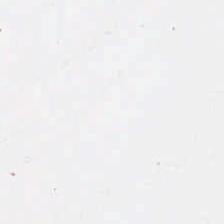Stain: H&E stain.
Acquisition: brightfield.
Resolution: 0.5 µm/px.
Field content: background.
